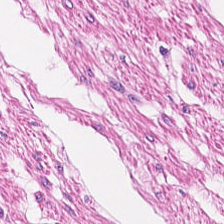WSI patch. H&E-stained tissue section. Q: What tissue type is shown here?
A: The field shows smooth muscle.
